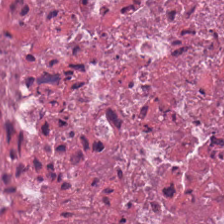Brightfield. Hematoxylin and eosin. The tissue is cellular debris.
